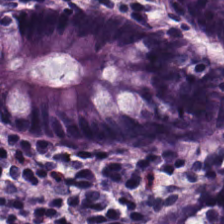Brightfield · hematoxylin-and-eosin stained section. Tissue class = normal colonic mucosa.
